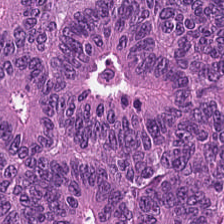Hematoxylin-and-eosin stained section. Q: Identify the tissue.
A: It is colorectal adenocarcinoma.
